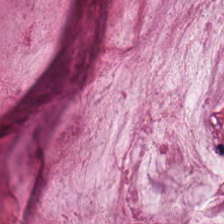H&E. The predominant tissue is mucus.
